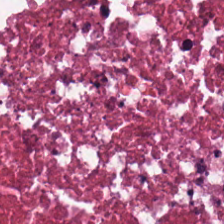Histology → cellular debris.
